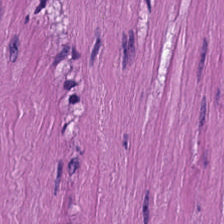Tissue type — smooth muscle.
